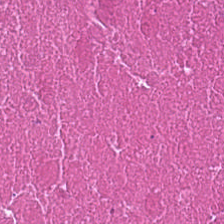Stain: H&E-stained tissue section.
Tissue class: necrotic debris.
